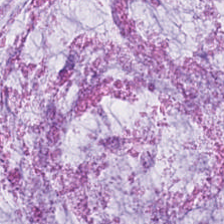{"tissue_type": "extracellular mucin"}
